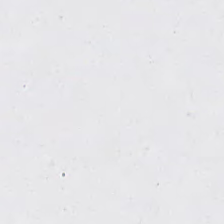Content = background.
